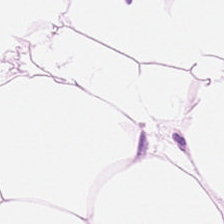Hematoxylin and eosin — This field is fat tissue.
